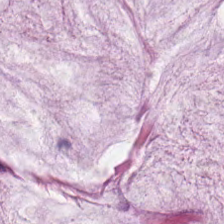Predominant tissue = mucus.
